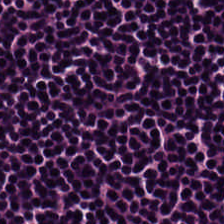Stain: hematoxylin-and-eosin stained section.
Resolution: 20× equivalent magnification.
Predominant tissue: lymphoid infiltrate.
